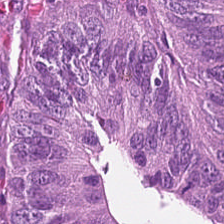H&E stain · formalin-fixed paraffin-embedded section.
Showing tumor epithelium.
